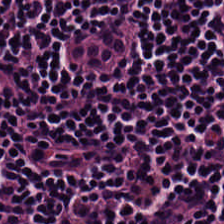Hematoxylin and eosin · 0.5 µm per pixel. Predominantly lymphocytes.
